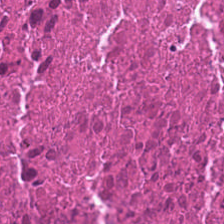224×224 px patch; WSI patch; H&E. Impression → debris.
